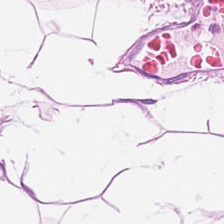20× equivalent magnification; hematoxylin-and-eosin stained section; WSI patch. This field is adipose.
